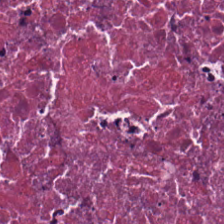Hematoxylin and eosin. This field is cellular debris.
